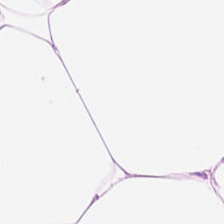Hematoxylin-and-eosin stained section.
The tissue is adipose.
